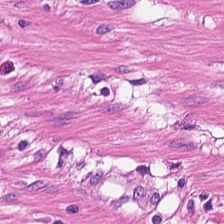Classification = smooth-muscle tissue.
